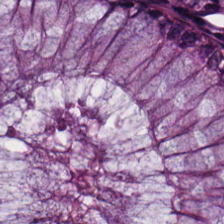Hematoxylin-and-eosin stained section.
Predominant tissue — normal colonic mucosa.
